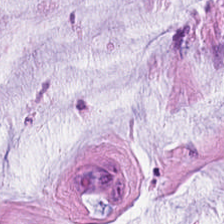0.5 µm per pixel · hematoxylin-and-eosin stained section — This field is mucin.
